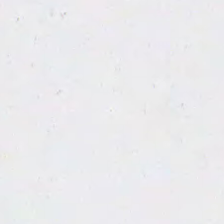Content — no tissue.
